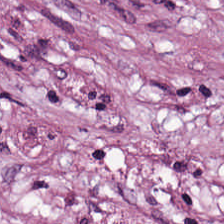H&E stain · brightfield. Impression — cancer-associated stroma.
